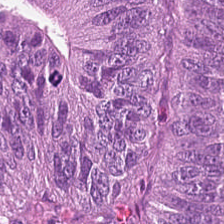FFPE tissue section; hematoxylin-and-eosin stained section.
Tissue class — colorectal adenocarcinoma epithelium.
